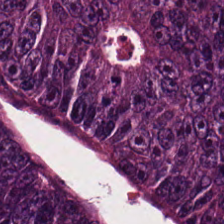FFPE tissue section; H&E stain; brightfield microscopy — Q: What is shown in this field?
A: It is colorectal adenocarcinoma epithelium.
